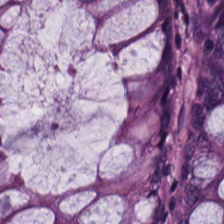Hematoxylin and eosin · formalin-fixed paraffin-embedded section. Tissue class — normal colon mucosa.
